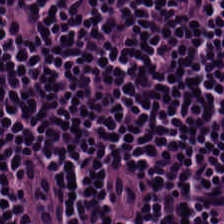H&E. The tissue here is lymphocytes.
